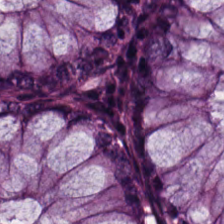Hematoxylin-and-eosin stained section — The tissue is normal colon mucosa.
